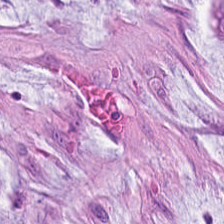Stain: H&E stain.
Tissue class: mucin.
